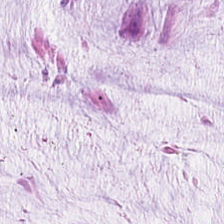H&E — mucin.
